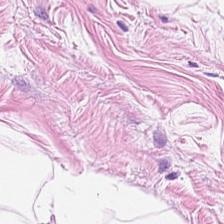Stain: hematoxylin-and-eosin stained section.
Classification: adipose.
